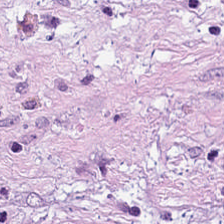This patch shows cancer-associated stroma.
